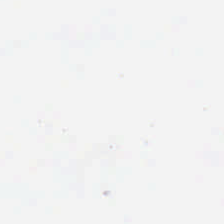Hematoxylin-and-eosin stained section.
This field is background (no tissue).
